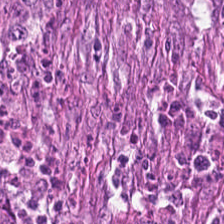H&E. Brightfield microscopy — Showing adenocarcinoma.
